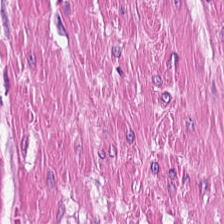Hematoxylin-and-eosin stained section. Q: What does this patch show?
A: It is smooth-muscle tissue.
